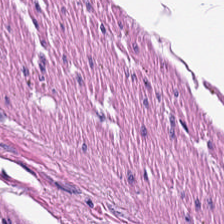H&E stain. The tissue here is muscularis.
